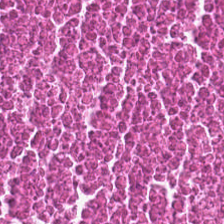H&E; brightfield. Tissue type = cellular debris.
